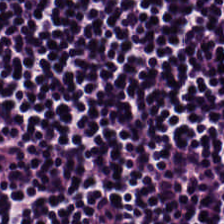Tissue class: lymphoid infiltrate.
